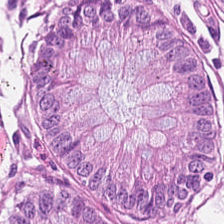Hematoxylin and eosin; 20× equivalent magnification; FFPE.
Predominant tissue — normal colon mucosa.
